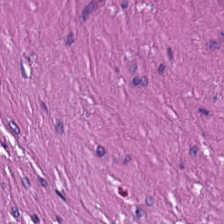224×224 px patch; H&E stain.
This patch shows smooth muscle.
